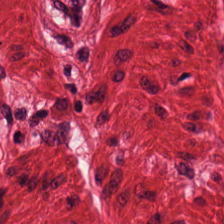Hematoxylin and eosin.
{"tissue_type": "smooth-muscle tissue"}
